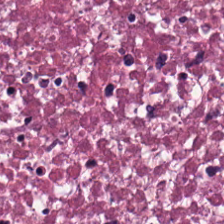Whole-slide-image patch · H&E stain · 20× equivalent magnification.
Tissue: cellular debris.
